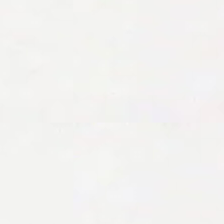Stain: H&E stain.
Resolution: 0.5 µm per pixel.
Content: empty background.
